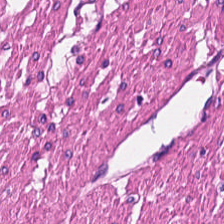Predominant tissue = smooth-muscle tissue.
